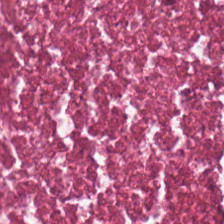H&E stain · WSI patch — Predominantly debris.
